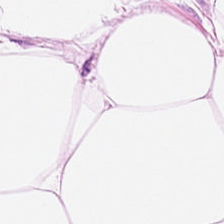Hematoxylin and eosin.
Tissue type = adipocytes.
